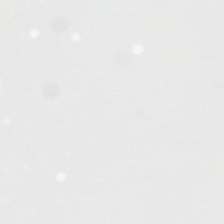H&E — No tissue present; background only.
